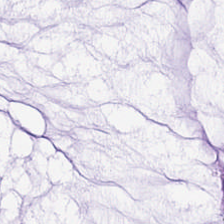The classification is mucus.
